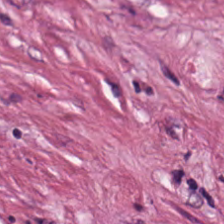Impression — tumor-associated stroma.
